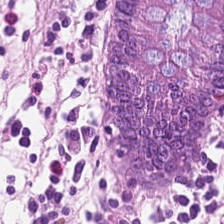Whole-slide-image patch; H&E-stained tissue section. Q: What tissue is shown?
A: It is normal colon mucosa.
